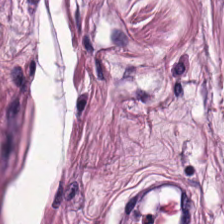H&E-stained tissue section — Muscularis.
